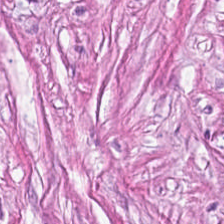0.5 µm per pixel · hematoxylin-and-eosin stained section. Q: Identify the tissue.
A: Desmoplastic stroma.
